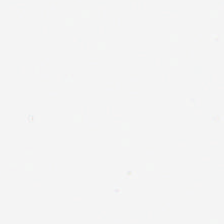Hematoxylin and eosin; 224×224 px patch — This field is background (no tissue).
